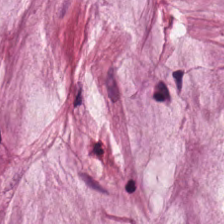H&E-stained tissue section. The tissue type is mucus.
